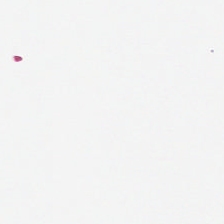Hematoxylin and eosin · formalin-fixed paraffin-embedded section · 224×224 px tile.
Content = empty background.
